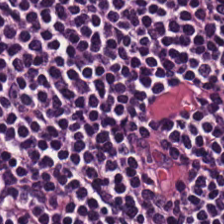H&E stain — The predominant tissue is lymphocytes.
